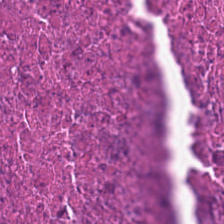H&E — The tissue is necrotic debris.
